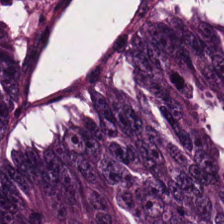Tissue class — tumor epithelium.
